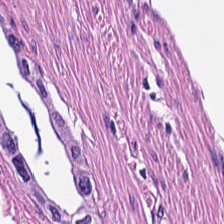224×224 px tile; H&E-stained tissue section — Q: What is shown in this field?
A: It is smooth muscle.
